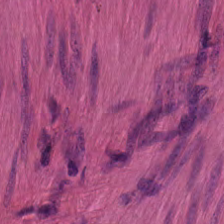The tissue is smooth-muscle tissue.
